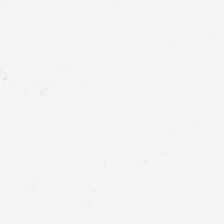H&E-stained tissue section.
Background (no tissue).
